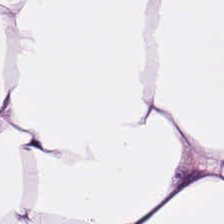0.5 µm/px. H&E-stained tissue section.
Showing adipocytes.
